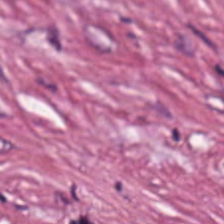0.5 µm per pixel; hematoxylin-and-eosin stained section. The predominant tissue is cancer-associated stroma.
